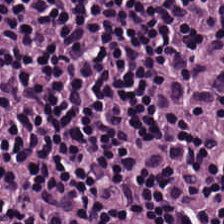Stain: H&E-stained tissue section.
Tissue: lymphocytes.
